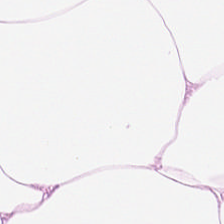Stain: H&E stain.
Tissue: adipose tissue.
